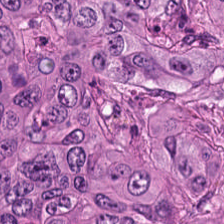Hematoxylin and eosin. Brightfield microscopy.
This patch shows malignant epithelium.
